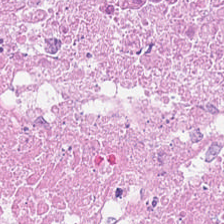H&E patch showing cellular debris.
